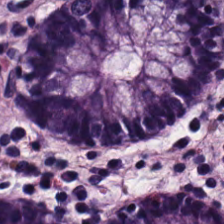The tissue class is benign colonic mucosa.
